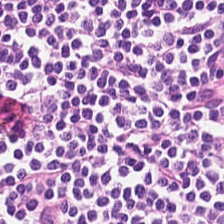H&E. Histology → lymphocytic infiltrate.
